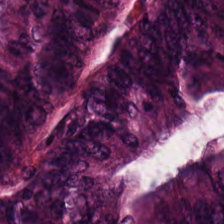H&E stain — This patch shows colorectal adenocarcinoma.
